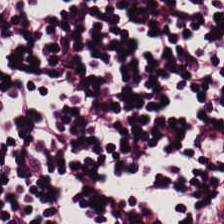224×224 px patch · H&E stain · whole-slide-image patch — Showing lymphoid infiltrate.
